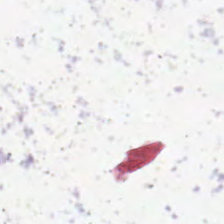Background — no tissue in this field.
